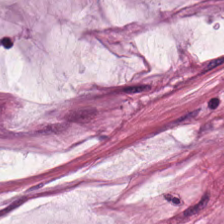Whole-slide-image patch · 20× equivalent magnification · H&E stain — {"tissue_type": "mucin"}
